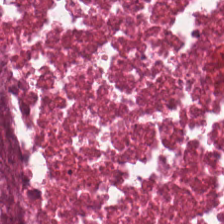Whole-slide-image patch. Hematoxylin-and-eosin stained section. Debris.
